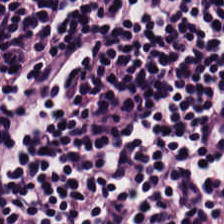FFPE. 0.5 microns per pixel. H&E. Lymphoid infiltrate.
